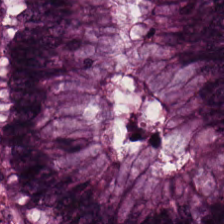Tissue: normal colon mucosa.
